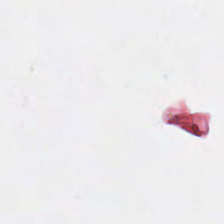Hematoxylin-and-eosin stained section. Empty background.
